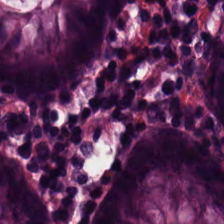Hematoxylin-and-eosin stained section. Finding — normal colonic mucosa.
